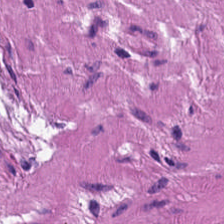H&E-stained tissue section showing smooth muscle.
